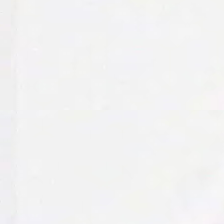Formalin-fixed paraffin-embedded section · 0.5 microns per pixel · H&E-stained tissue section.
Background.
